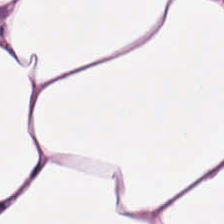H&E-stained tissue section. The tissue here is adipocytes.
